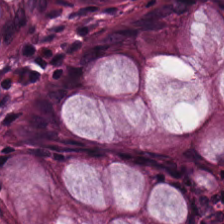H&E stain.
The predominant tissue is benign colonic mucosa.
